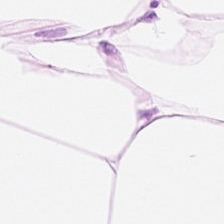Stain: hematoxylin and eosin.
Classification: adipose tissue.
